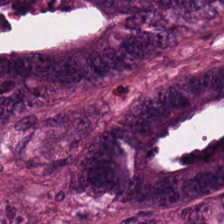H&E-stained tissue section. 224×224 px tile. Finding → colorectal adenocarcinoma.
